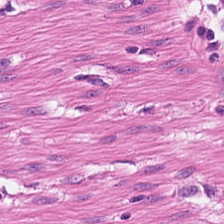H&E.
Predominant tissue: muscularis.
